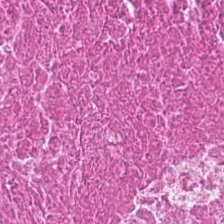Whole-slide-image patch · 224×224 pixel tile · hematoxylin and eosin. Predominant tissue — debris.
